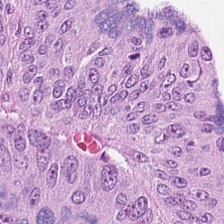H&E.
{"tissue_type": "adenocarcinoma"}
